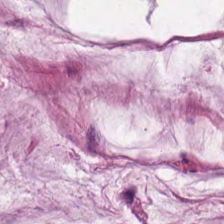H&E · FFPE tissue section.
The classification is mucus.
